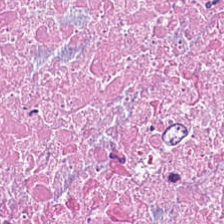Q: What is shown in this field?
A: This is debris.
